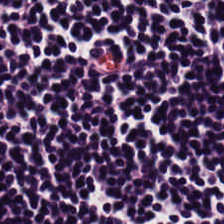Tissue type: lymphocyte aggregate.
